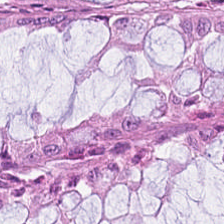Predominantly normal colon mucosa.
